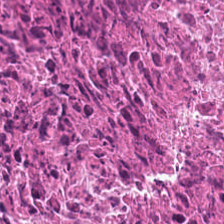Showing debris.
